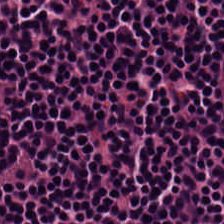Hematoxylin-and-eosin stained section. Showing lymphocytes.
